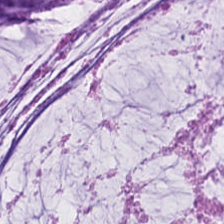H&E stain — Q: Classify this patch.
A: This is extracellular mucin.
